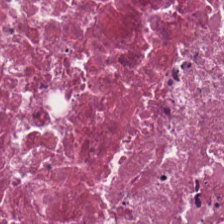224×224 pixel tile · H&E-stained tissue section — The tissue here is debris.
